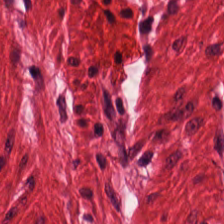H&E; formalin-fixed paraffin-embedded section; whole-slide-image patch — This patch shows smooth muscle.
